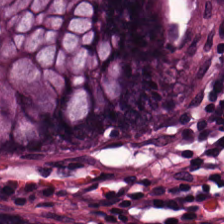Hematoxylin-and-eosin stained section · whole-slide-image patch · 0.5 µm per pixel — Q: What is the predominant tissue type?
A: The field shows non-neoplastic colon mucosa.
